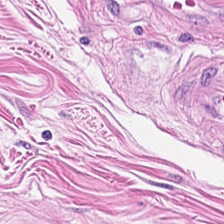224×224 pixel tile · hematoxylin and eosin.
Predominantly muscularis.
